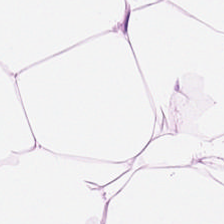Brightfield microscopy · 224×224 pixel tile · hematoxylin and eosin.
Adipose.
